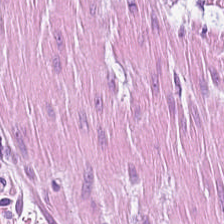H&E — The predominant tissue is smooth muscle.
